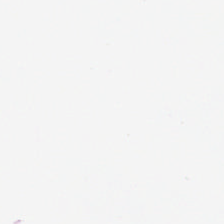H&E-stained tissue section. Histology — no tissue.
